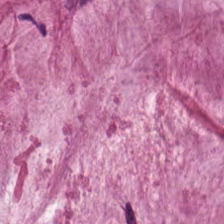20× equivalent magnification; H&E-stained tissue section.
Predominantly mucus.
